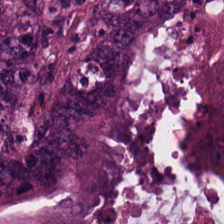Hematoxylin-and-eosin stained section; whole-slide-image patch. The tissue class is colorectal adenocarcinoma.
